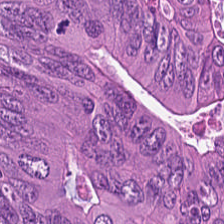Hematoxylin-and-eosin section: tumor epithelium.
